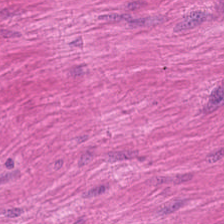H&E stain — The tissue type is smooth-muscle tissue.
